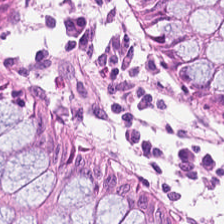H&E. Histology → non-neoplastic colon mucosa.
